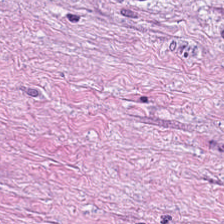Brightfield microscopy; 20× equivalent magnification; H&E-stained tissue section. Tissue class = tumor stroma.
